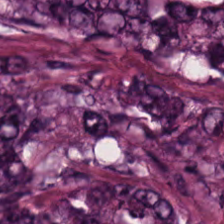{"tissue_type": "tumor epithelium"}
